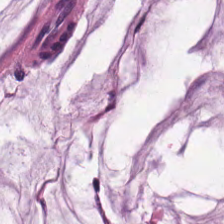H&E-stained tissue section.
Q: What is shown here?
A: It is mucin.
